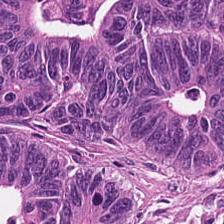FFPE tissue section. H&E-stained tissue section. 0.5 µm per pixel — The predominant tissue is malignant epithelium.
